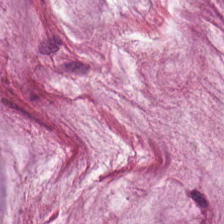Q: What type of tissue is this?
A: The field shows extracellular mucin.
